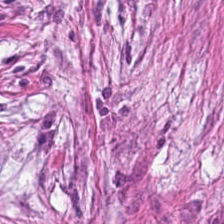Stain: H&E.
Tile size: 224×224 px patch.
Tissue: tumor-associated stroma.
